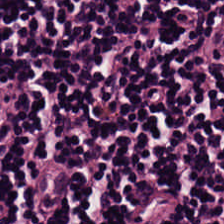H&E stain. Impression — lymphoid infiltrate.
